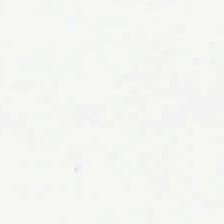Whole-slide-image patch. 20× equivalent magnification. H&E. The content is empty background.
